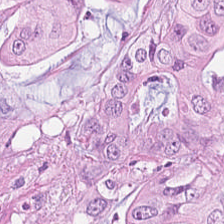H&E-stained tissue section.
Classification: adenocarcinoma.
